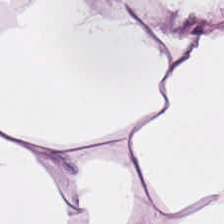Classification — adipose tissue.
